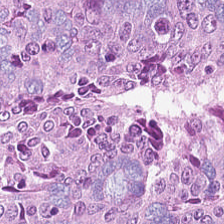H&E-stained section; the field shows malignant epithelium.
